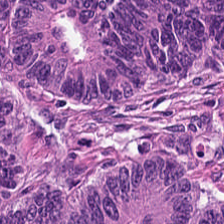Finding — colorectal adenocarcinoma.
